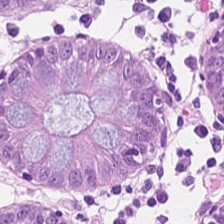H&E stain.
Predominantly benign colonic mucosa.
